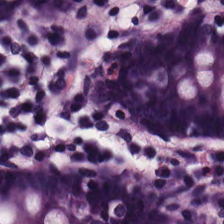H&E. Histology → non-neoplastic colon mucosa.
